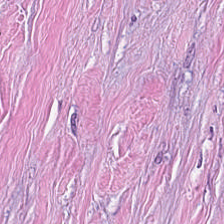Hematoxylin-and-eosin section: cancer-associated stroma.
